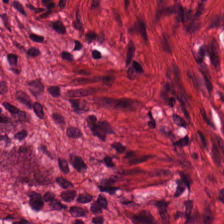Hematoxylin-and-eosin stained section. This patch shows smooth muscle.
